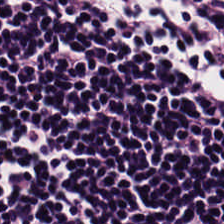Stain: H&E-stained tissue section.
Predominant tissue: lymphocytic infiltrate.
